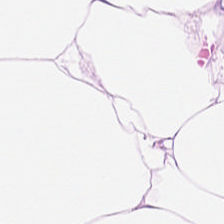Stain: hematoxylin and eosin.
Resolution: 0.5 µm per pixel.
Tissue: fat tissue.
